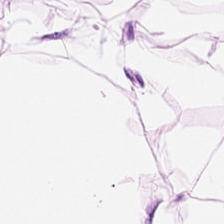224×224 pixel tile; H&E; 0.5 µm/px.
Q: What does this patch show?
A: The field shows adipose.
